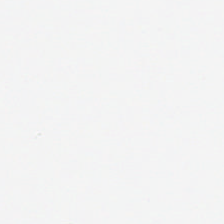Hematoxylin-and-eosin stained section — This patch shows no tissue.
